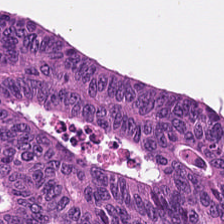H&E · brightfield — Predominantly tumor epithelium.
